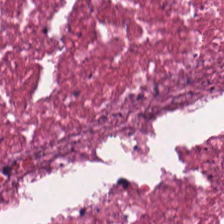H&E — This field is necrotic debris.
